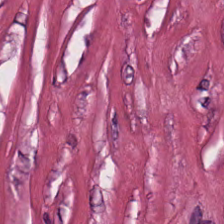H&E-stained tissue section. This field is tumor stroma.
